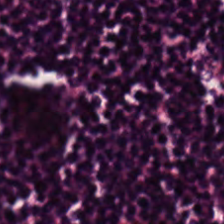H&E. WSI patch — The tissue here is lymphocytic infiltrate.
